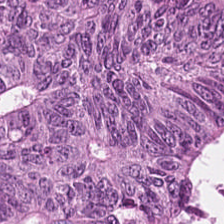Colorectal adenocarcinoma epithelium.
